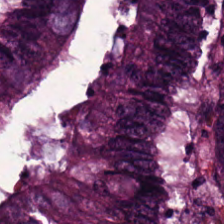Stain: hematoxylin-and-eosin stained section.
Tissue: adenocarcinoma.
